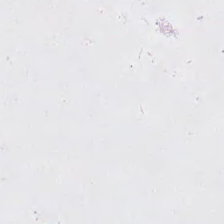H&E-stained tissue section; 20× equivalent magnification. This patch shows no tissue.
